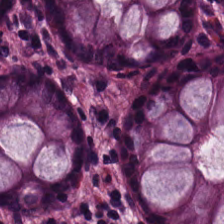H&E stain.
Predominantly normal colon mucosa.
